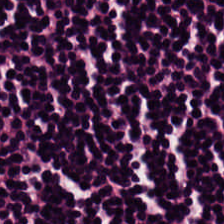20× equivalent magnification · hematoxylin-and-eosin stained section. {"tissue_type": "lymphocyte aggregate"}
